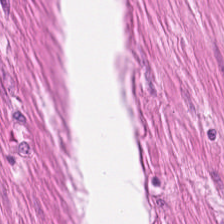H&E stain. FFPE tissue section — Classification = muscularis.
